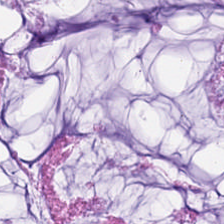Tissue — mucus.
